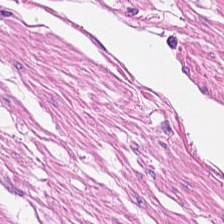H&E.
Smooth-muscle tissue.
